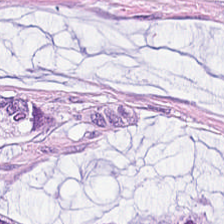Hematoxylin and eosin.
Classification = mucin.
